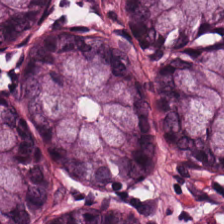Hematoxylin and eosin. FFPE tissue section — Finding → non-neoplastic colon mucosa.
